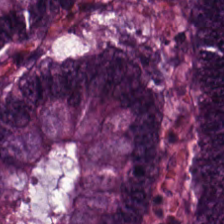{"tissue_type": "colorectal adenocarcinoma epithelium"}
